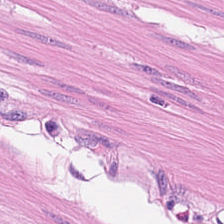Stain: hematoxylin and eosin.
Predominant tissue: smooth muscle.
